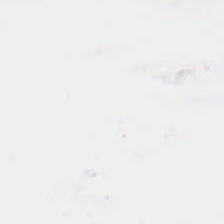Hematoxylin-and-eosin stained section — Histology — background (no tissue).
